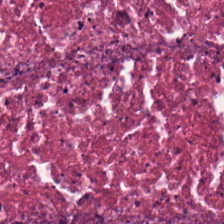Hematoxylin and eosin. Brightfield — Histology → debris.
